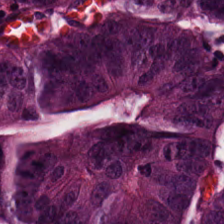H&E.
Q: What does this patch show?
A: It is colorectal adenocarcinoma.
